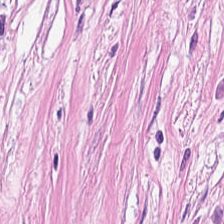Q: What is shown here?
A: The field shows tumor stroma.
